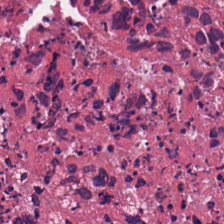224×224 px patch; H&E stain; WSI patch — Q: What is shown in this field?
A: This is cellular debris.
